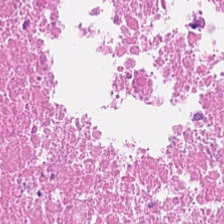0.5 µm per pixel. H&E stain.
{"tissue_type": "cellular debris"}
